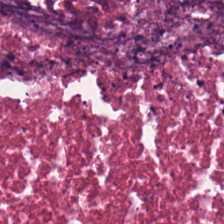224×224 pixel tile · H&E-stained tissue section.
The predominant tissue is cellular debris.
